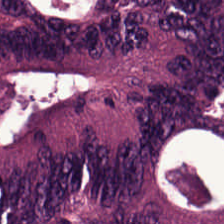Hematoxylin-and-eosin stained section. FFPE. Brightfield.
{"tissue_type": "malignant epithelium"}
